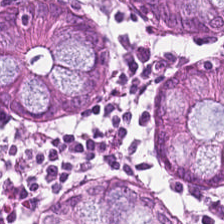H&E-stained section; the field shows benign colonic mucosa.
